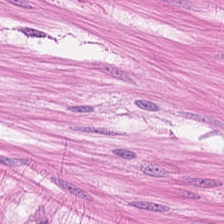Brightfield · hematoxylin and eosin.
Q: What is the predominant tissue type?
A: The field shows smooth muscle.
